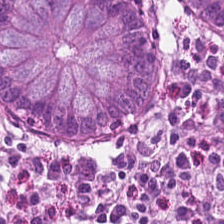H&E-stained tissue section — Q: What does this patch show?
A: Normal colon mucosa.
